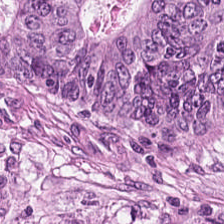Stain: H&E-stained tissue section.
Acquisition: WSI patch.
Tissue type: colorectal adenocarcinoma epithelium.
